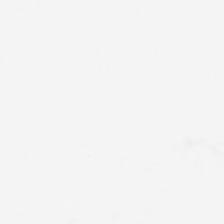H&E-stained tissue section — Field content: empty background.
